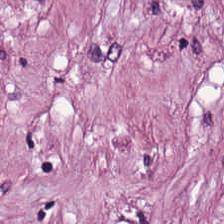H&E-stained tissue section.
Classification: cancer-associated stroma.
